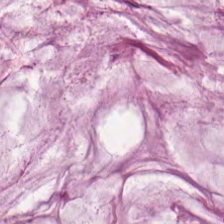FFPE tissue section. Brightfield. H&E.
The tissue class is extracellular mucin.
